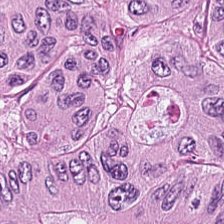Stain: H&E-stained tissue section.
Classification: tumor epithelium.
